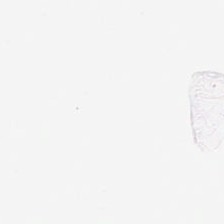Finding → background.
